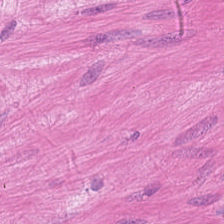Q: Classify this patch.
A: This is muscularis.
